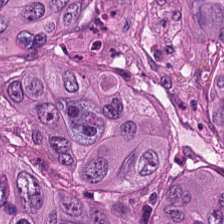Hematoxylin-and-eosin stained section; 224×224 pixel tile.
Showing adenocarcinoma.
